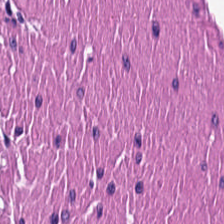Stain: H&E stain.
Predominant tissue: smooth-muscle tissue.
